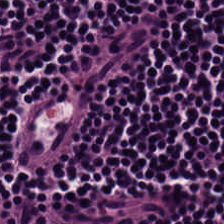0.5 µm per pixel · H&E-stained tissue section · WSI patch. The predominant tissue is lymphocytes.
